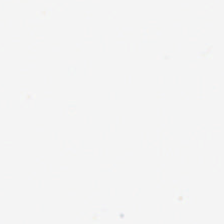Q: Classify this patch.
A: This is background (no tissue).
